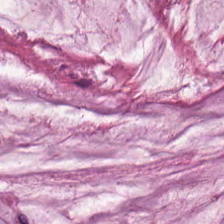H&E-stained tissue section — Histology — extracellular mucin.
